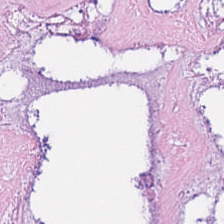Hematoxylin and eosin. FFPE tissue section. 0.5 microns per pixel.
This patch shows cellular debris.
